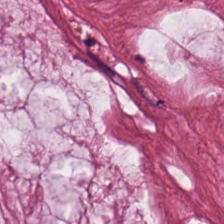Showing mucus.
